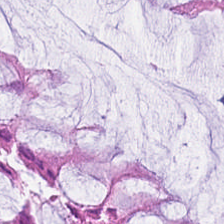H&E-stained tissue section. 224×224 pixel tile.
{"tissue_type": "normal colonic mucosa"}
